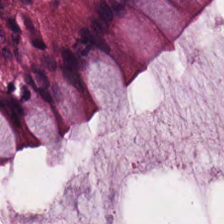H&E.
Showing non-neoplastic colon mucosa.
